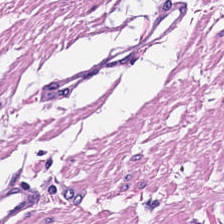Hematoxylin-and-eosin section: smooth-muscle tissue.
